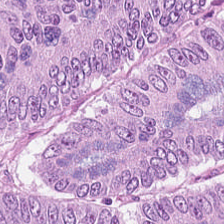H&E-stained tissue section showing tumor epithelium.
